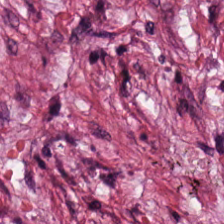Hematoxylin and eosin · 0.5 µm/px. This field is desmoplastic stroma.
